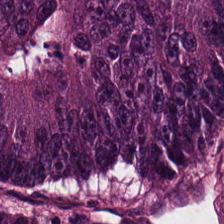H&E — The classification is malignant epithelium.
